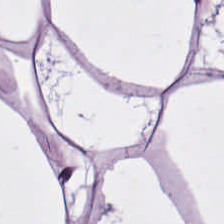H&E stain; FFPE tissue section; 20× equivalent magnification. Tissue class: fat tissue.
